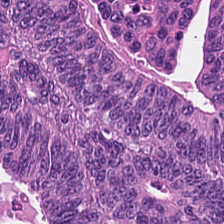H&E.
Q: What is shown here?
A: Malignant epithelium.
